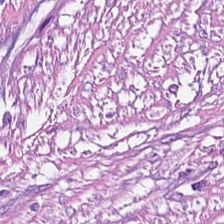Stain: H&E.
Tissue type: cancer-associated stroma.
